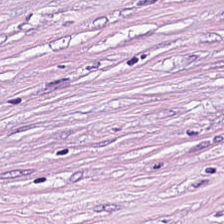H&E — This patch shows tumor-associated stroma.
